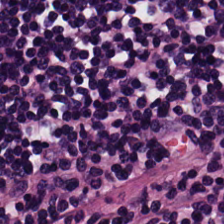224×224 px tile · 0.5 µm/px · H&E. Tissue = lymphocytes.
